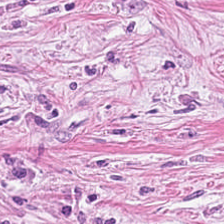Tissue type = tumor stroma.
